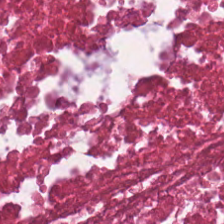H&E stain; whole-slide-image patch.
The tissue here is cellular debris.
